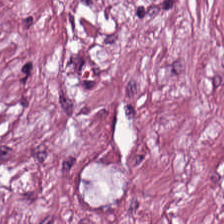Hematoxylin and eosin.
Classification = tumor-associated stroma.
